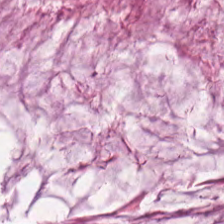H&E stain. 0.5 µm/px. Formalin-fixed paraffin-embedded section.
Mucin.
